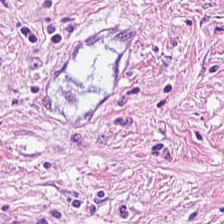Hematoxylin and eosin · FFPE · 20× equivalent magnification — Tissue type — desmoplastic stroma.
